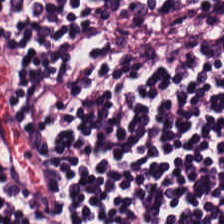H&E-stained tissue section — Classification — lymphoid infiltrate.
